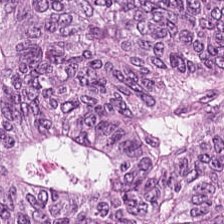H&E-stained tissue section. FFPE — Malignant epithelium.
